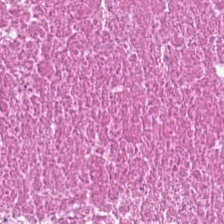H&E-stained section; the field shows debris.
